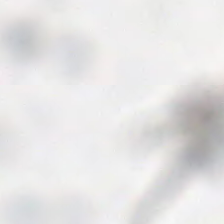FFPE tissue section · H&E. Q: What is shown in this field?
A: Empty background.
